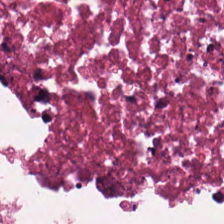Q: What is shown in this field?
A: It is cellular debris.
